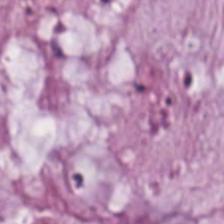0.5 µm per pixel; hematoxylin and eosin.
The tissue here is mucin.
